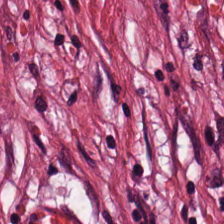Hematoxylin and eosin · 224×224 pixel tile. {"tissue_type": "tumor stroma"}
